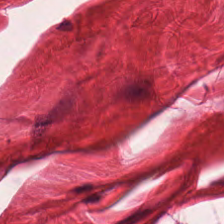Stain: H&E stain.
Tissue class: muscularis.
